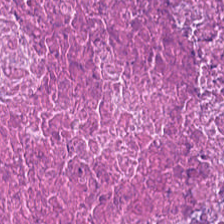H&E stain — Finding — debris.
